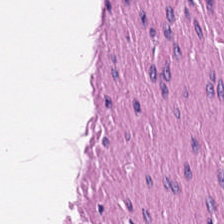H&E stain.
Impression → smooth-muscle tissue.
